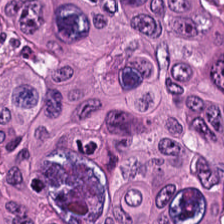H&E · 0.5 µm/px.
Q: What is the predominant tissue type?
A: This is colorectal adenocarcinoma.
